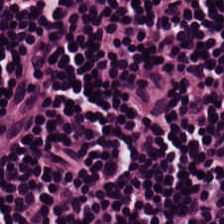Hematoxylin and eosin; 20× equivalent magnification; brightfield.
Lymphocyte aggregate.
